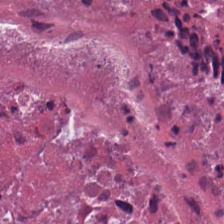Hematoxylin-and-eosin stained section — Finding → necrotic debris.
